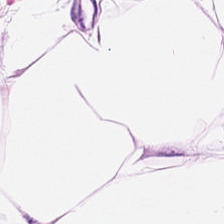0.5 µm/px. Hematoxylin-and-eosin stained section.
Histology — fat tissue.
